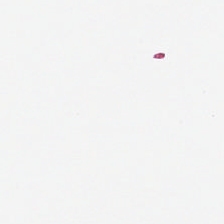Finding — background (no tissue).
